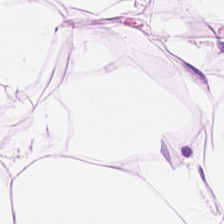Brightfield microscopy. Hematoxylin-and-eosin stained section. 224×224 px patch — Fat tissue.
